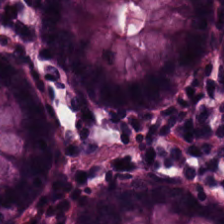Hematoxylin and eosin — The predominant tissue is non-neoplastic colon mucosa.
